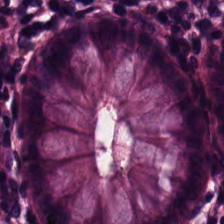H&E stain. This patch shows normal colon mucosa.
